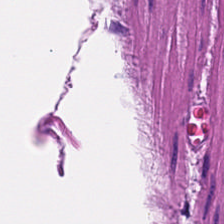Histology — muscularis.
